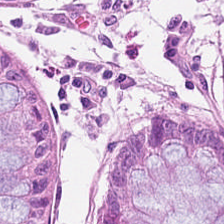Q: What does this patch show?
A: It is non-neoplastic colon mucosa.
